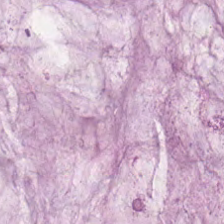H&E stain. The predominant tissue is mucin.
